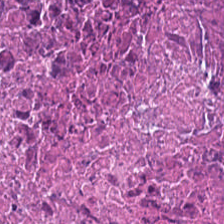Hematoxylin-and-eosin stained section — This field is debris.
